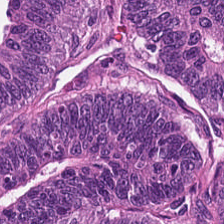Stain: H&E-stained tissue section.
Resolution: 0.5 microns per pixel.
Tissue: tumor epithelium.
